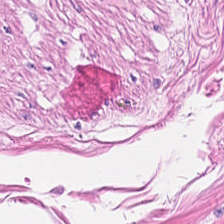Stain: H&E stain.
Tissue type: muscularis.
